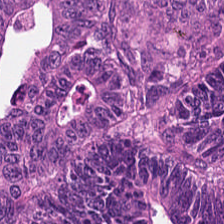Formalin-fixed paraffin-embedded section. H&E-stained tissue section — The classification is colorectal adenocarcinoma epithelium.
